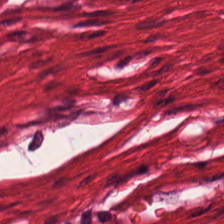H&E stain · 224×224 px patch.
The predominant tissue is muscularis.
